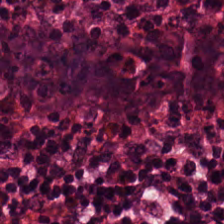Stain: hematoxylin-and-eosin stained section.
Resolution: 20× equivalent magnification.
Tissue: normal colon mucosa.
